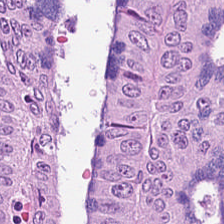The predominant tissue is malignant epithelium.
